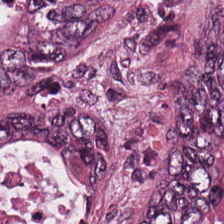Stain: H&E-stained tissue section.
Acquisition: brightfield.
Tissue type: colorectal adenocarcinoma.
